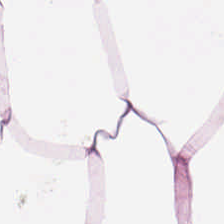H&E-stained tissue section.
Predominant tissue = adipose.
